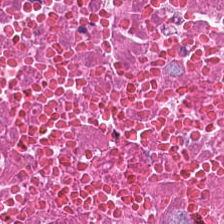{"tissue_type": "cellular debris"}
